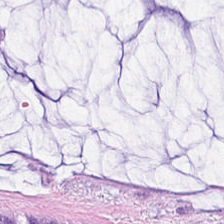Hematoxylin and eosin — The predominant tissue is extracellular mucin.
